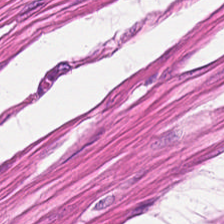H&E.
Histology — muscularis.
